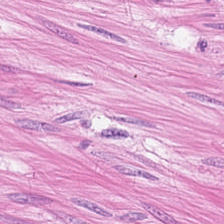H&E-stained tissue section — Finding — muscularis.
